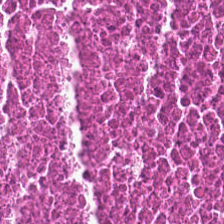Hematoxylin and eosin. Brightfield microscopy. Q: What does this patch show?
A: The field shows necrotic debris.
